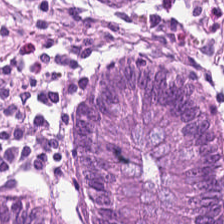Stain: H&E stain.
Acquisition: brightfield.
Preparation: FFPE.
Tissue type: non-neoplastic colon mucosa.
